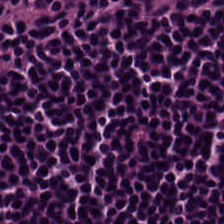Whole-slide-image patch · H&E-stained tissue section. {"tissue_type": "lymphocytic infiltrate"}
